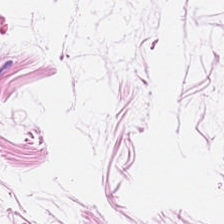Hematoxylin-and-eosin stained section. Predominant tissue = fat tissue.
